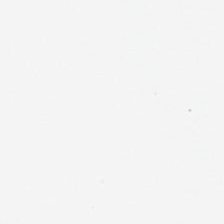224×224 pixel tile · H&E-stained tissue section — This field is background (no tissue).
